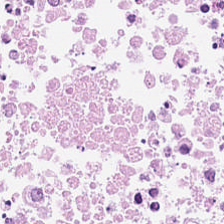Hematoxylin-and-eosin stained section — Tissue class: cellular debris.
